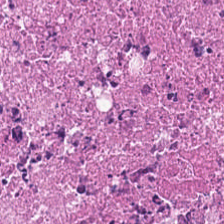H&E-stained tissue section. Formalin-fixed paraffin-embedded section — This field is debris.
